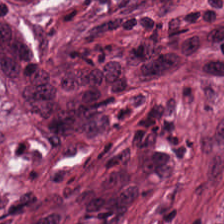H&E stain; 224×224 px tile.
Classification = desmoplastic stroma.
